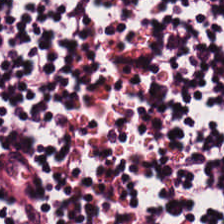0.5 microns per pixel; H&E.
The predominant tissue is lymphocyte aggregate.
